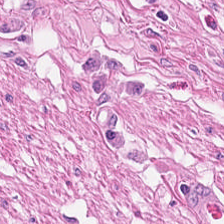Muscularis.
